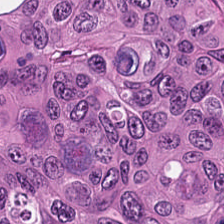FFPE · H&E. Q: What does this patch show?
A: The field shows adenocarcinoma.
